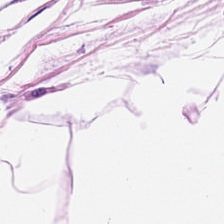Stain: H&E.
Predominant tissue: fat tissue.
